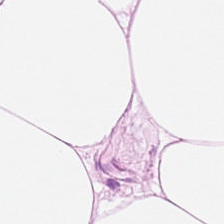H&E-stained section; the field shows adipocytes.
